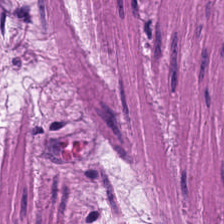0.5 microns per pixel · H&E-stained tissue section. Impression → smooth-muscle tissue.
